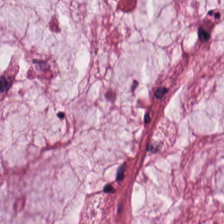H&E.
Showing mucus.
